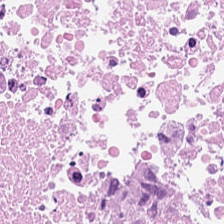FFPE; hematoxylin-and-eosin stained section.
Showing necrotic debris.
